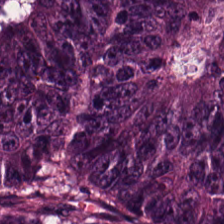Hematoxylin and eosin — This patch shows malignant epithelium.
